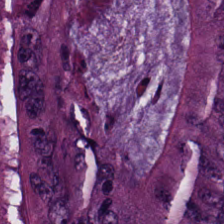H&E; 0.5 microns per pixel.
Colorectal adenocarcinoma epithelium.
